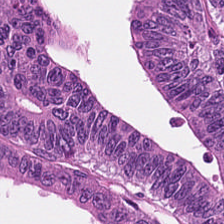H&E. This patch shows malignant epithelium.
